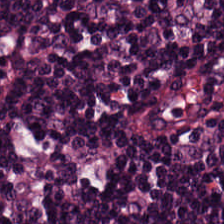0.5 µm per pixel; whole-slide-image patch; hematoxylin-and-eosin stained section. Predominantly lymphocytes.
